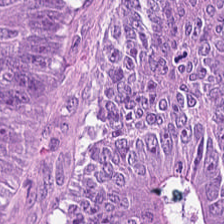Hematoxylin and eosin. This patch shows malignant epithelium.
